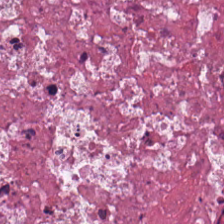{"tissue_type": "cellular debris"}
